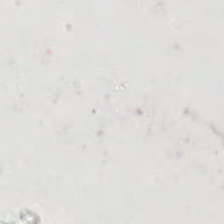Hematoxylin and eosin.
Impression — background.
